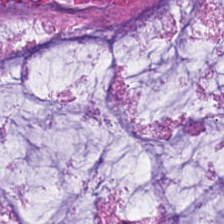Stain: H&E.
Preparation: formalin-fixed paraffin-embedded section.
Predominant tissue: extracellular mucin.
